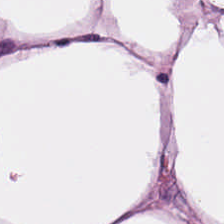Brightfield microscopy. H&E stain. This field is adipose tissue.
